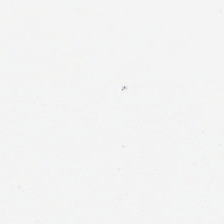Field content: background (no tissue).
